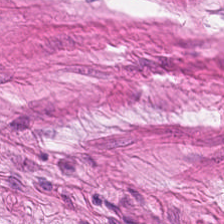Hematoxylin-and-eosin stained section — The predominant tissue is smooth muscle.
